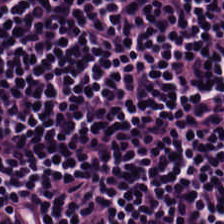Stain: hematoxylin and eosin.
Predominant tissue: lymphocyte aggregate.
